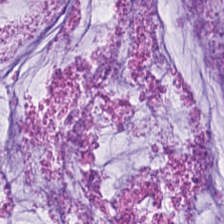224×224 px tile; 0.5 µm/px; H&E stain. This field is extracellular mucin.
